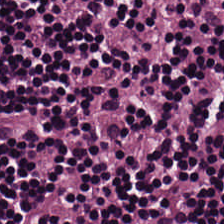Histology — lymphocytic infiltrate.
